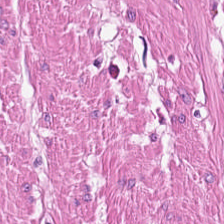20× equivalent magnification · H&E — Classification: muscularis.
